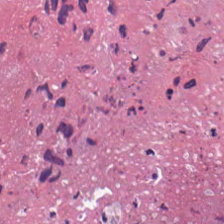Stain: hematoxylin-and-eosin stained section.
Predominant tissue: cellular debris.
